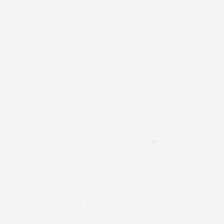224×224 pixel tile; hematoxylin and eosin; FFPE. The classification is no tissue.
